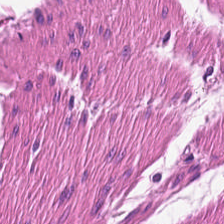Tissue: smooth-muscle tissue.
